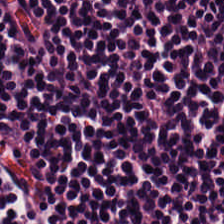Brightfield microscopy · H&E-stained tissue section · 224×224 pixel tile. Q: What is shown in this field?
A: This is lymphocytic infiltrate.
